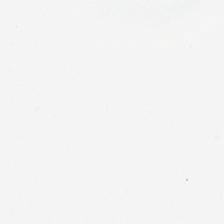WSI patch · FFPE · H&E stain.
Classification — empty background.
